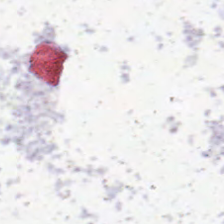Hematoxylin-and-eosin stained section.
Field content — empty background.
